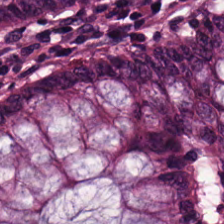Hematoxylin-and-eosin stained section. The predominant tissue is normal colon mucosa.
